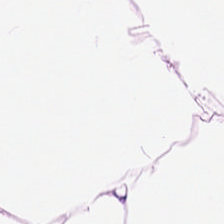Brightfield; hematoxylin-and-eosin stained section.
{"tissue_type": "adipose"}
